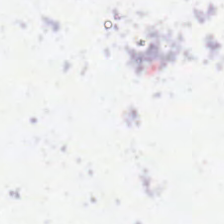H&E. Content = background (no tissue).
